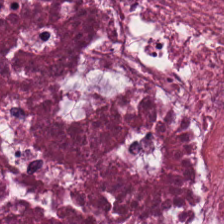224×224 px tile; H&E-stained tissue section. The tissue here is necrotic debris.
